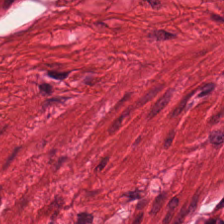This patch shows smooth muscle.
